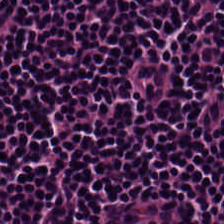20× equivalent magnification. H&E. Q: What tissue type is shown here?
A: Lymphocytes.
